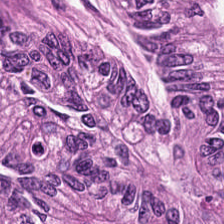Q: What tissue type is shown here?
A: The field shows malignant epithelium.
